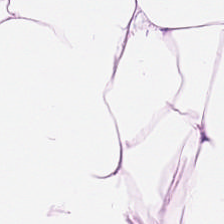H&E stain; 224×224 pixel tile.
The predominant tissue is fat tissue.
